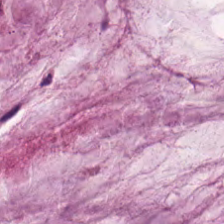H&E; brightfield. Predominantly extracellular mucin.
